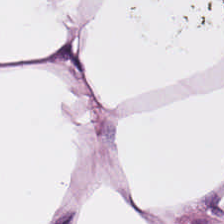Q: What type of tissue is this?
A: This is adipocytes.
